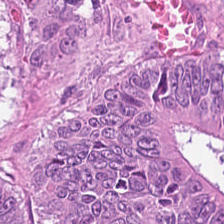Hematoxylin-and-eosin stained section.
{"tissue_type": "adenocarcinoma"}
